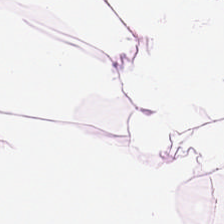Formalin-fixed paraffin-embedded section. H&E-stained tissue section. Brightfield microscopy — Predominant tissue = adipose tissue.
